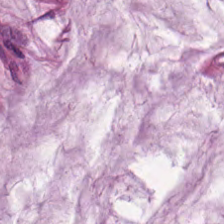Stain: hematoxylin-and-eosin stained section.
Tile size: 224×224 px patch.
Acquisition: brightfield.
Tissue: mucin.
